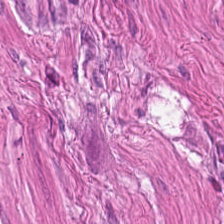Hematoxylin-and-eosin stained section. Finding → smooth-muscle tissue.
